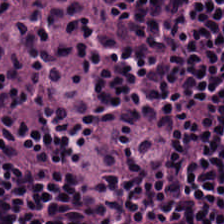Brightfield microscopy · 0.5 microns per pixel · hematoxylin-and-eosin stained section — The tissue class is lymphoid infiltrate.
